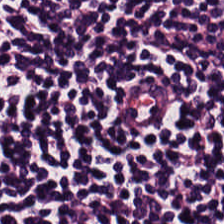H&E-stained tissue section showing lymphoid infiltrate.
